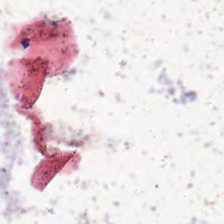Hematoxylin and eosin.
Impression — background (no tissue).
